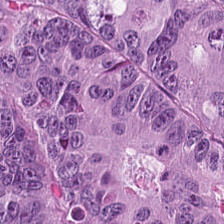224×224 px patch. 0.5 µm/px. H&E stain. The predominant tissue is malignant epithelium.
